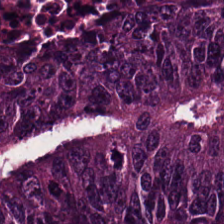H&E · FFPE tissue section · whole-slide-image patch. This patch shows colorectal adenocarcinoma.
